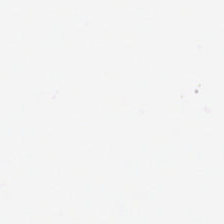H&E. Empty field — no tissue.
